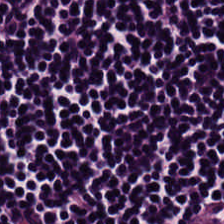H&E stain.
The predominant tissue is lymphocyte aggregate.
